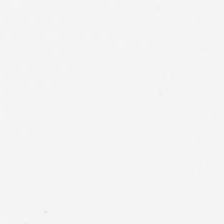No tissue present; background only.
